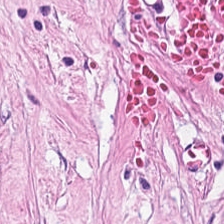Predominant tissue = tumor stroma.
